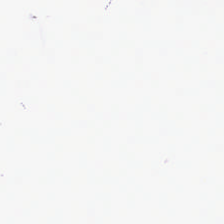Finding — background (no tissue).
